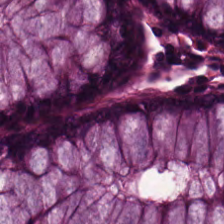Hematoxylin-and-eosin stained section. Q: Identify the tissue.
A: Normal colon mucosa.
